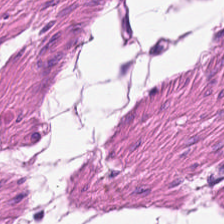H&E — Q: What tissue type is shown here?
A: This is muscularis.
